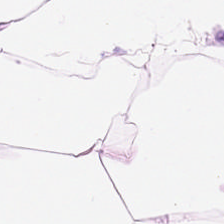Tissue = fat tissue.
